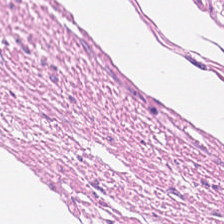H&E. Classification — smooth muscle.
